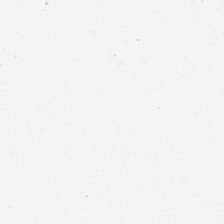H&E stain. Brightfield. 224×224 px tile. This field is background (no tissue).
